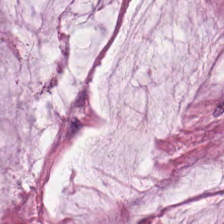Brightfield. H&E stain — {"tissue_type": "mucin"}
